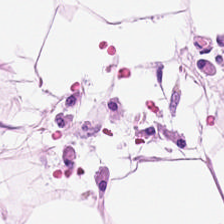H&E-stained tissue section.
Predominant tissue = adipose.
